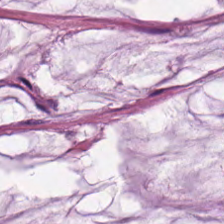Hematoxylin-and-eosin stained section.
Mucus.
